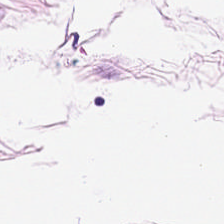WSI patch · H&E-stained tissue section — Q: What is the predominant tissue type?
A: It is fat tissue.
